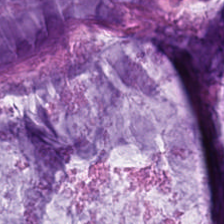This field is mucus.
